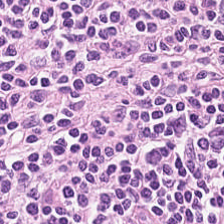Predominant tissue = lymphocytes.
